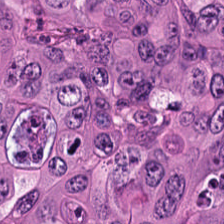Hematoxylin-and-eosin stained section. The tissue type is malignant epithelium.
